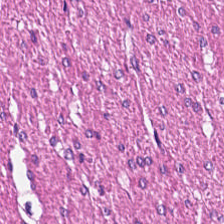H&E; 20× equivalent magnification.
Tissue type = muscularis.
